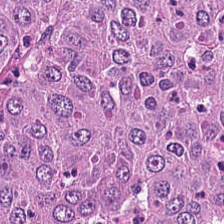Q: Identify the tissue.
A: The field shows colorectal adenocarcinoma.
